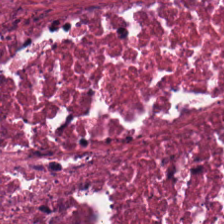H&E-stained tissue section. Finding → cellular debris.
